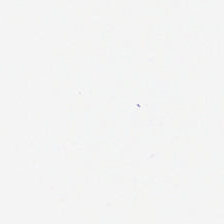H&E-stained tissue section; 224×224 px patch.
Finding → no tissue.
